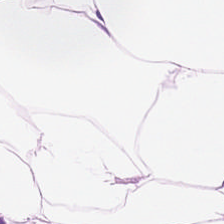H&E-stained tissue section — This patch shows adipocytes.
